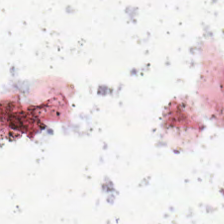Impression — empty background.
